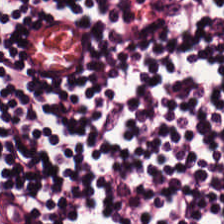0.5 microns per pixel. H&E-stained tissue section. 224×224 px tile.
The tissue class is lymphocyte aggregate.
